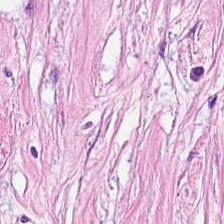H&E stain. 224×224 px tile. The predominant tissue is tumor-associated stroma.
